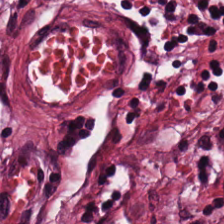Stain: H&E stain.
Classification: cancer-associated stroma.
